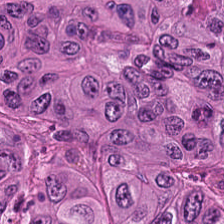Stain: H&E.
Preparation: FFPE tissue section.
Classification: adenocarcinoma.
